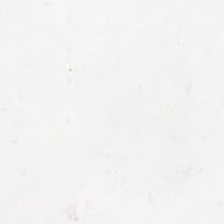H&E stain. Background (no tissue).
